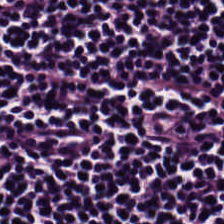Showing lymphocytes.
